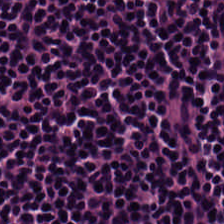H&E. The tissue class is lymphocytic infiltrate.
